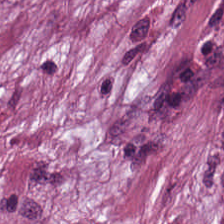H&E. Formalin-fixed paraffin-embedded section. Q: Identify the tissue.
A: The field shows tumor-associated stroma.
